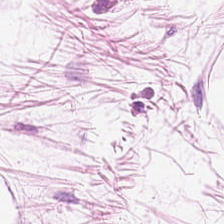Stain: H&E.
Predominant tissue: adipocytes.
